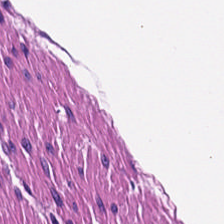Stain: H&E stain.
Preparation: FFPE tissue section.
Acquisition: brightfield.
Predominant tissue: smooth muscle.
